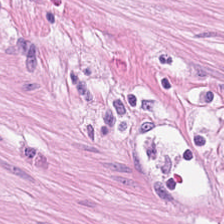Hematoxylin-and-eosin stained section. FFPE — Q: What tissue type is shown here?
A: It is muscularis.
